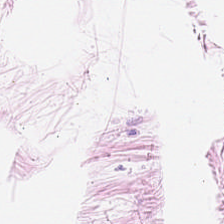H&E stain — Q: Classify this patch.
A: Adipose tissue.
